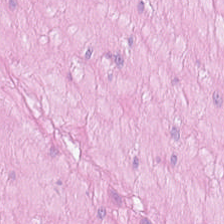H&E stain. Impression — smooth muscle.
